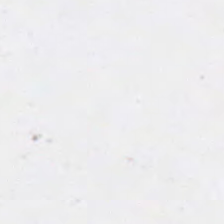H&E. Q: What is shown in this field?
A: The field shows empty background.
